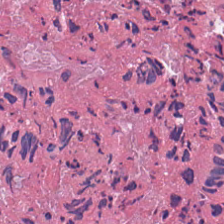H&E.
Tissue class — cellular debris.
